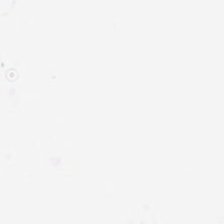Q: What is shown here?
A: The field shows no tissue.
